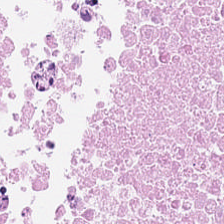H&E.
This field is cellular debris.
